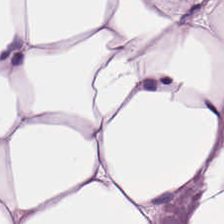Hematoxylin-and-eosin stained section — Finding → adipocytes.
